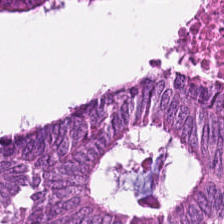WSI patch · H&E-stained tissue section · 224×224 px tile — Q: Classify this patch.
A: Adenocarcinoma.
